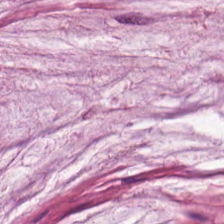Hematoxylin-and-eosin stained section — Tissue type = mucus.
